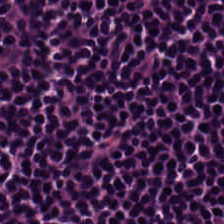Hematoxylin-and-eosin stained section. Predominant tissue: lymphocyte aggregate.
